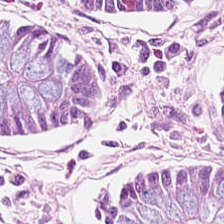H&E — non-neoplastic colon mucosa.
